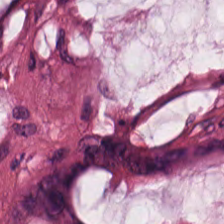H&E stain · 224×224 pixel tile. The tissue here is extracellular mucin.
